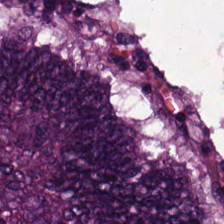Stain: H&E stain.
Tile size: 224×224 pixel tile.
Classification: tumor epithelium.
